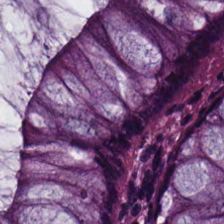H&E stain — Histology → benign colonic mucosa.
